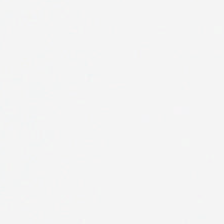This field is background (no tissue).
